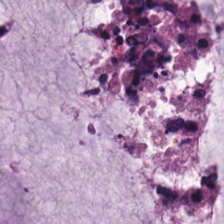H&E — This patch shows mucin.
